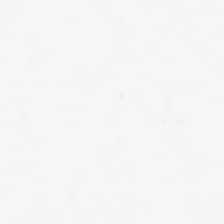H&E stain.
This field is background (no tissue).
